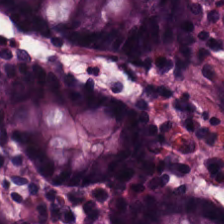Hematoxylin-and-eosin stained section. Predominantly normal colonic mucosa.
